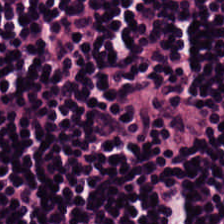224×224 px patch. Hematoxylin-and-eosin stained section. Impression → lymphocytic infiltrate.
